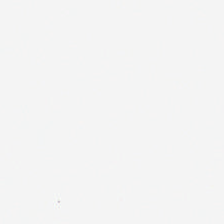H&E — {"content": "no tissue"}
